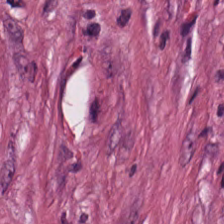Brightfield. Hematoxylin and eosin — Predominant tissue = tumor stroma.
